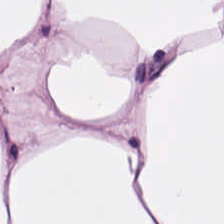Stain: H&E-stained tissue section.
Resolution: 20× equivalent magnification.
Preparation: formalin-fixed paraffin-embedded section.
Classification: adipocytes.
